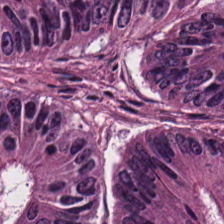Hematoxylin-and-eosin stained section.
Q: What tissue is shown?
A: The field shows malignant epithelium.
